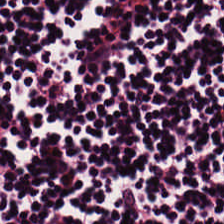224×224 px tile · H&E stain. This field is lymphoid infiltrate.
